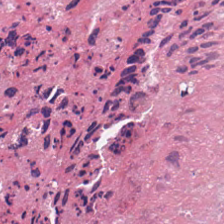Stain: H&E.
Tissue class: necrotic debris.
